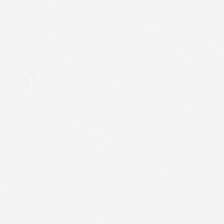Q: What is shown here?
A: It is background.
